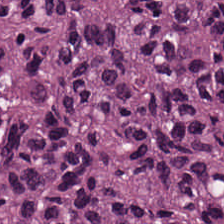FFPE; H&E stain.
Q: What tissue is shown?
A: Colorectal adenocarcinoma epithelium.
